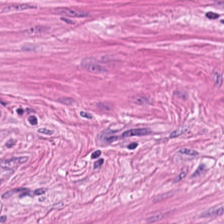Stain: H&E.
Preparation: formalin-fixed paraffin-embedded section.
Tissue class: smooth-muscle tissue.
